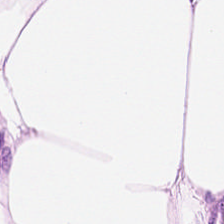Hematoxylin and eosin. Tissue type = adipose tissue.
